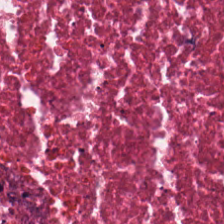Hematoxylin-and-eosin stained section — Finding — cellular debris.
